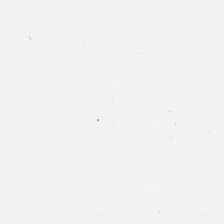Brightfield microscopy · H&E stain. Q: What is shown here?
A: It is empty background.
